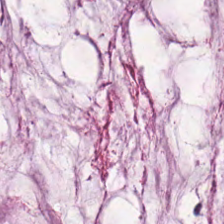H&E. 224×224 pixel tile.
{"tissue_type": "mucin"}
